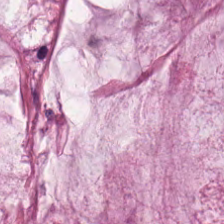Predominant tissue = extracellular mucin.
